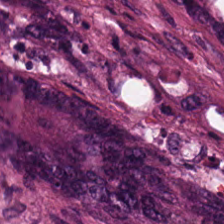Formalin-fixed paraffin-embedded section. H&E. Brightfield microscopy — Tissue — colorectal adenocarcinoma.
